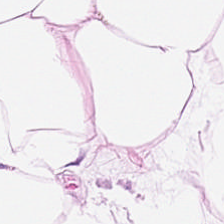Hematoxylin-and-eosin stained section · WSI patch.
Adipose.
